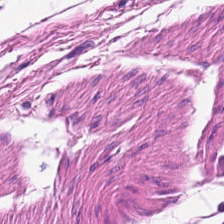Hematoxylin-and-eosin stained section. FFPE tissue section.
Showing smooth-muscle tissue.
